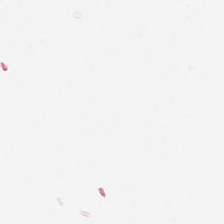H&E stain · 0.5 µm per pixel — No tissue present; background only.
